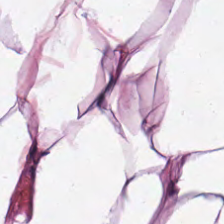H&E stain — This patch shows adipose tissue.
